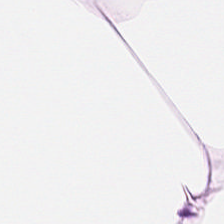FFPE. H&E-stained tissue section.
This patch shows adipose tissue.
